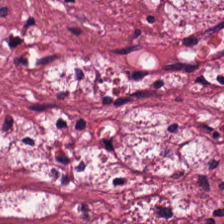H&E.
This patch shows tumor stroma.
